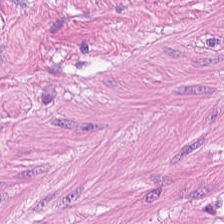H&E.
The predominant tissue is smooth muscle.
